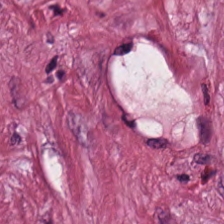H&E. The tissue here is tumor stroma.
